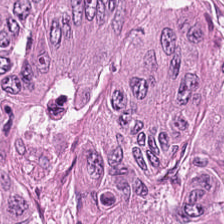Brightfield microscopy; hematoxylin-and-eosin stained section.
Impression — colorectal adenocarcinoma epithelium.
